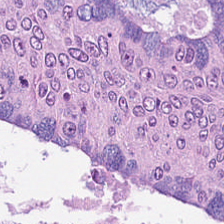Q: What type of tissue is this?
A: This is colorectal adenocarcinoma epithelium.
